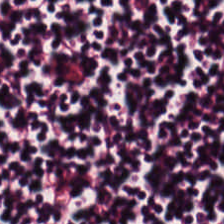H&E stain. Formalin-fixed paraffin-embedded section.
The predominant tissue is lymphocytes.
